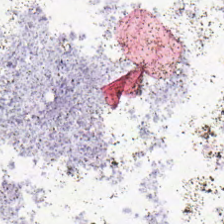H&E. No tissue.
